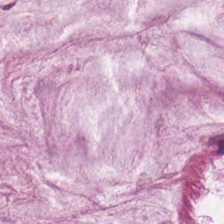H&E-stained tissue section.
Classification = extracellular mucin.
